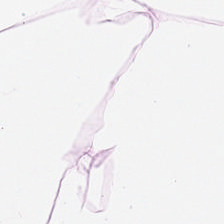Predominant tissue = adipose tissue.
